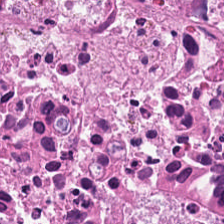Hematoxylin-and-eosin stained section · FFPE · 0.5 µm per pixel. This field is debris.
